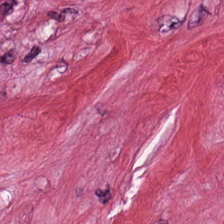H&E stain — Predominant tissue: tumor-associated stroma.
